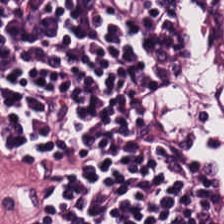Formalin-fixed paraffin-embedded section. 224×224 px tile. H&E stain — Predominant tissue: lymphocytic infiltrate.
